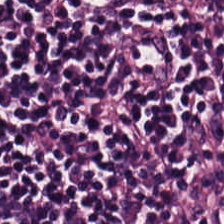Predominant tissue = lymphocyte aggregate.
